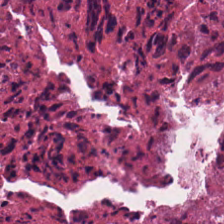Stain: H&E stain.
Tissue: debris.
